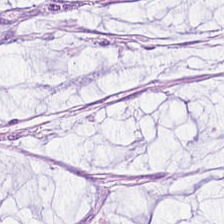H&E. The tissue here is extracellular mucin.
